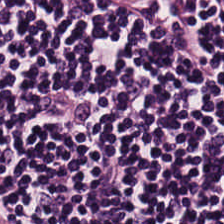Whole-slide-image patch. H&E — Histology — lymphoid infiltrate.
